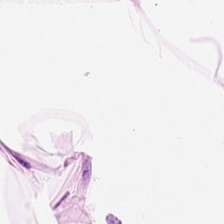H&E-stained tissue section — Finding → adipocytes.
